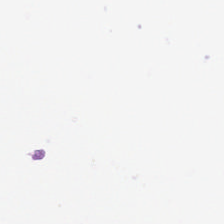WSI patch · H&E-stained tissue section.
Field content: background.
